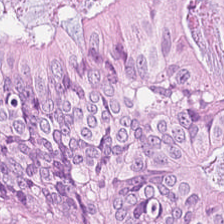H&E. The predominant tissue is tumor epithelium.
